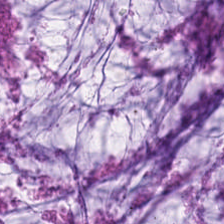The tissue is mucin.
